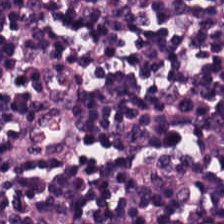FFPE; WSI patch; hematoxylin-and-eosin stained section.
Q: Identify the tissue.
A: It is lymphocyte aggregate.
